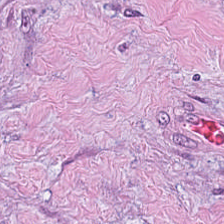20× equivalent magnification · H&E-stained tissue section · FFPE tissue section — This patch shows tumor-associated stroma.
